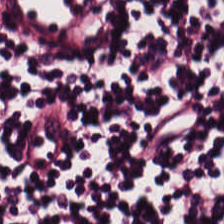WSI patch · H&E stain. Q: What is the predominant tissue type?
A: The field shows lymphocyte aggregate.
